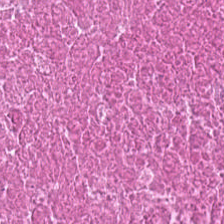FFPE tissue section. Brightfield microscopy. H&E-stained tissue section. The tissue is debris.
